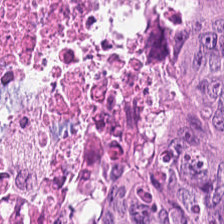H&E-stained tissue section. Brightfield. 224×224 px tile. {"tissue_type": "adenocarcinoma"}
